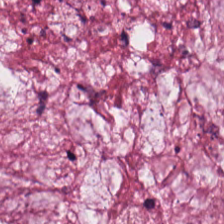Q: What tissue type is shown here?
A: The field shows extracellular mucin.
